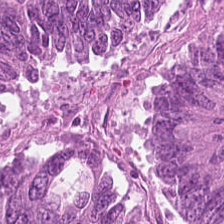Q: Classify this patch.
A: This is colorectal adenocarcinoma epithelium.
